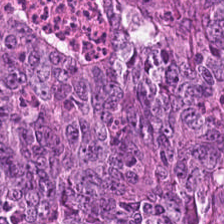Hematoxylin-and-eosin stained section.
Colorectal adenocarcinoma.
